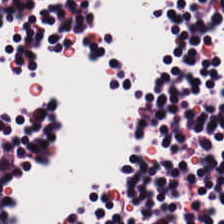Hematoxylin-and-eosin stained section.
This field is lymphocytes.
